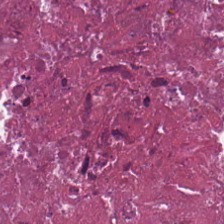Q: What does this patch show?
A: It is cellular debris.
